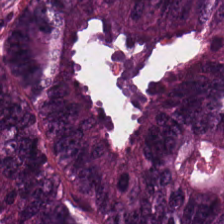Q: What is shown here?
A: Adenocarcinoma.
